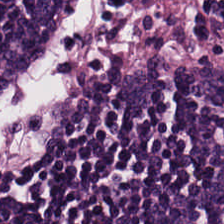Brightfield microscopy. H&E.
This patch shows lymphoid infiltrate.
